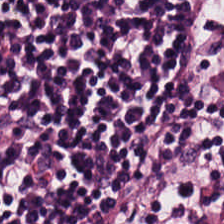Hematoxylin and eosin. The tissue here is lymphoid infiltrate.
